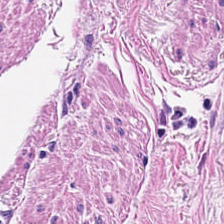Stain: hematoxylin and eosin.
Classification: smooth muscle.
